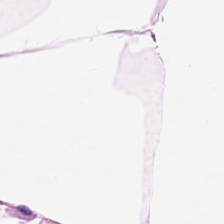H&E-stained tissue section; whole-slide-image patch; 224×224 px patch.
This field is adipose.
